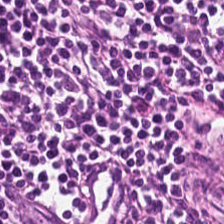Q: Classify this patch.
A: Lymphocyte aggregate.
